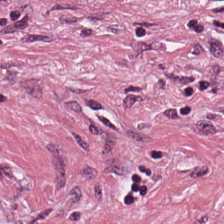H&E-stained tissue section — The tissue here is tumor stroma.
